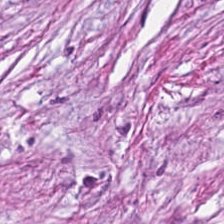Brightfield. H&E — The predominant tissue is tumor stroma.
